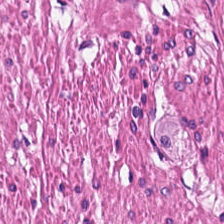H&E-stained tissue section. 224×224 pixel tile.
This field is muscularis.
